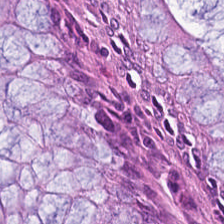Stain: hematoxylin and eosin.
Tissue class: normal colonic mucosa.
